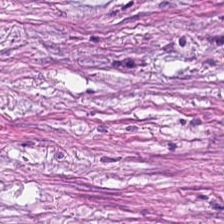H&E. The tissue type is cancer-associated stroma.
